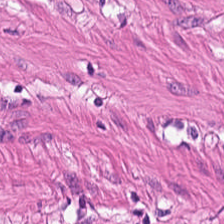Hematoxylin-and-eosin stained section.
Predominantly smooth-muscle tissue.
